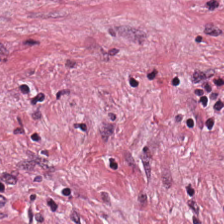{"tissue_type": "tumor stroma"}
